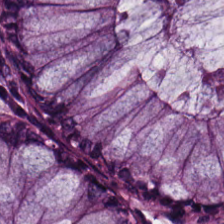H&E stain.
Q: What tissue is shown?
A: It is normal colonic mucosa.
